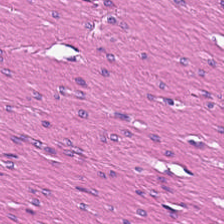H&E — Showing smooth muscle.
